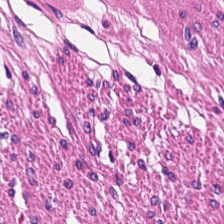Stain: H&E-stained tissue section.
Classification: smooth-muscle tissue.
